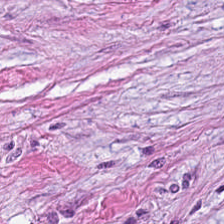Hematoxylin-and-eosin stained section; 224×224 px tile — Histology → desmoplastic stroma.
